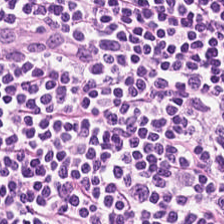Stain: H&E-stained tissue section.
Predominant tissue: lymphocytic infiltrate.
